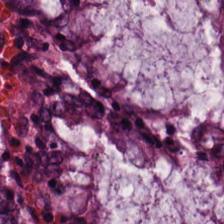Q: What is shown here?
A: Non-neoplastic colon mucosa.
